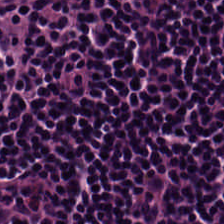Hematoxylin-and-eosin stained section. Q: Classify this patch.
A: This is lymphocyte aggregate.
